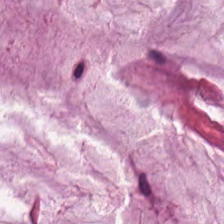FFPE tissue section. 0.5 µm per pixel. H&E — Q: What is shown in this field?
A: The field shows mucus.
